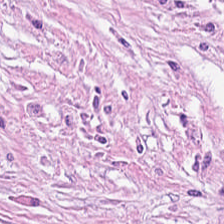Brightfield microscopy. Hematoxylin-and-eosin stained section. 224×224 px tile.
Tissue = tumor-associated stroma.
